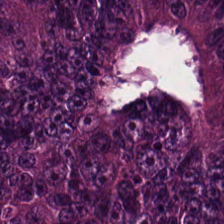Tissue: colorectal adenocarcinoma.
